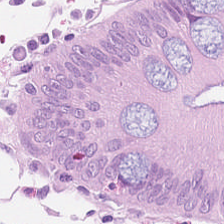Hematoxylin and eosin. Whole-slide-image patch — Tissue class = normal colon mucosa.
